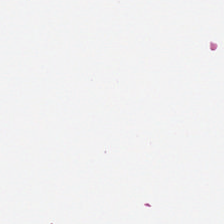Hematoxylin and eosin; 224×224 pixel tile — Background — no tissue in this field.
